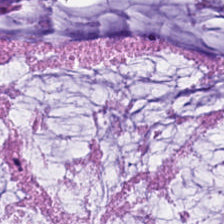Q: Classify this patch.
A: It is mucin.
